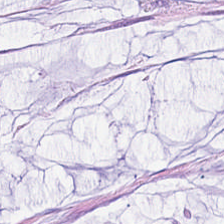H&E. This patch shows mucus.
